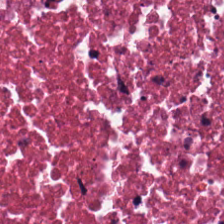Hematoxylin-and-eosin stained section · FFPE tissue section. Predominantly debris.
